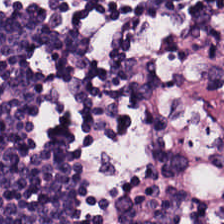Stain: H&E stain.
Preparation: FFPE.
Acquisition: whole-slide-image patch.
Classification: lymphocytic infiltrate.
